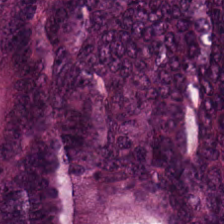Hematoxylin-and-eosin stained section · WSI patch · 0.5 microns per pixel — The tissue class is malignant epithelium.
